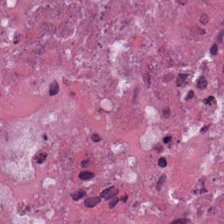H&E · whole-slide-image patch · 224×224 px tile — Tissue type — cellular debris.
